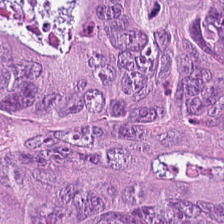Stain: H&E.
Classification: malignant epithelium.
